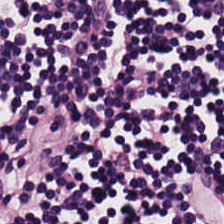Stain: hematoxylin-and-eosin stained section.
Acquisition: brightfield.
Tile size: 224×224 px tile.
Tissue class: lymphoid infiltrate.
